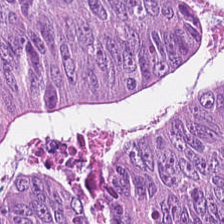Hematoxylin-and-eosin stained section. This patch shows malignant epithelium.
